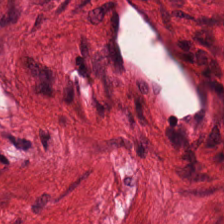FFPE tissue section · hematoxylin and eosin — Histology → smooth muscle.
